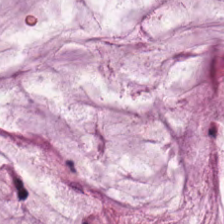0.5 microns per pixel; H&E stain — Impression — extracellular mucin.
